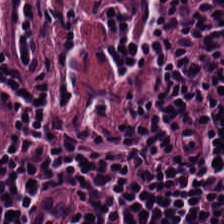Hematoxylin and eosin. Impression — lymphocytic infiltrate.
